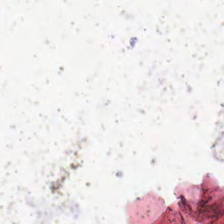Field content: background.
